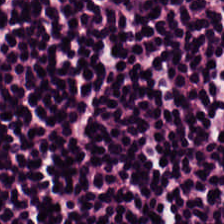{"tissue_type": "lymphocytes"}
